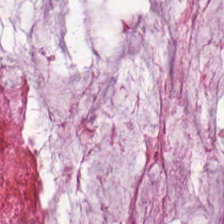0.5 µm per pixel. Hematoxylin-and-eosin stained section — Histology → extracellular mucin.
